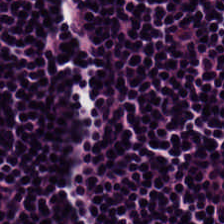H&E-stained tissue section · 0.5 microns per pixel.
The predominant tissue is lymphocytic infiltrate.
